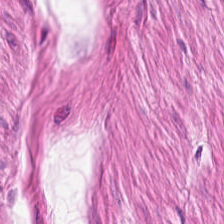Hematoxylin and eosin. Q: What tissue is shown?
A: Muscularis.
